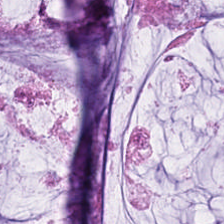This field is mucin.
